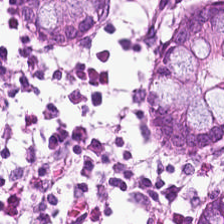Tissue type = non-neoplastic colon mucosa.
